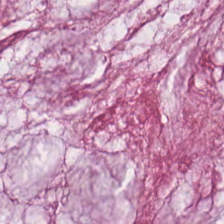Hematoxylin-and-eosin stained section. Whole-slide-image patch. {"tissue_type": "mucin"}
